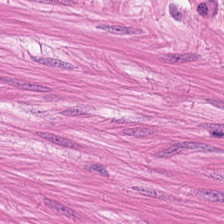Stain: hematoxylin-and-eosin stained section.
Tissue: smooth muscle.
